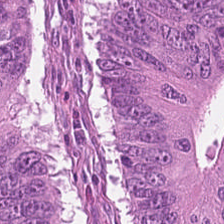Hematoxylin-and-eosin stained section. This patch shows colorectal adenocarcinoma.
